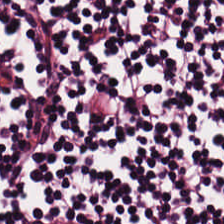0.5 microns per pixel. Hematoxylin-and-eosin stained section. Lymphocytic infiltrate.
